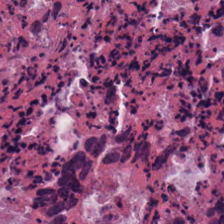H&E stain.
Showing cellular debris.
